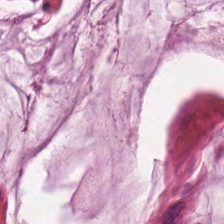This field is extracellular mucin.
